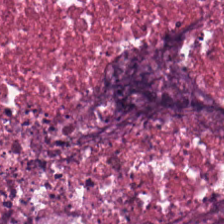H&E-stained tissue section. The tissue here is cellular debris.
